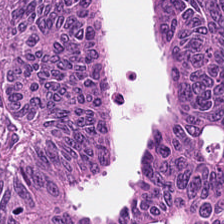Formalin-fixed paraffin-embedded section · H&E stain. Q: What does this patch show?
A: Colorectal adenocarcinoma epithelium.
